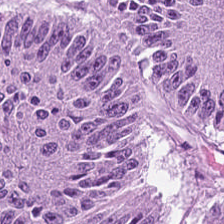224×224 px tile · hematoxylin-and-eosin stained section · 20× equivalent magnification — Classification — colorectal adenocarcinoma.
